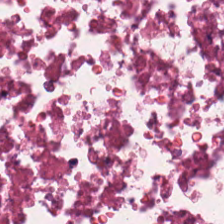Brightfield · H&E. This field is cellular debris.
